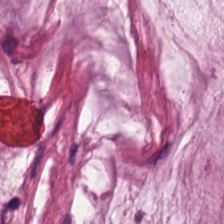224×224 pixel tile; H&E stain.
Predominant tissue = extracellular mucin.
